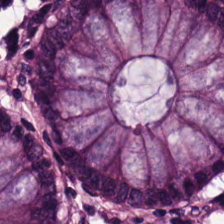H&E-stained tissue section; 224×224 px tile — Tissue class: non-neoplastic colon mucosa.
